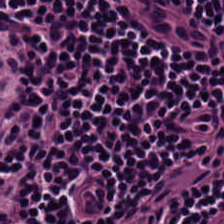Hematoxylin and eosin. Tissue = lymphoid infiltrate.
